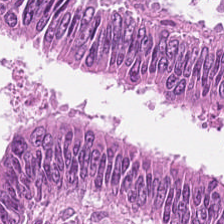Hematoxylin-and-eosin stained section · formalin-fixed paraffin-embedded section · 0.5 µm per pixel. Q: What is shown in this field?
A: The field shows malignant epithelium.
